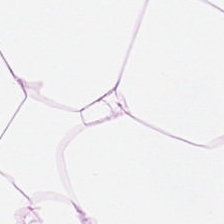Fat tissue.
